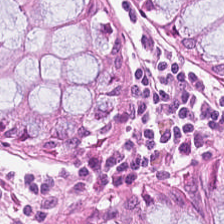Formalin-fixed paraffin-embedded section · H&E · brightfield microscopy. Tissue: normal colonic mucosa.
